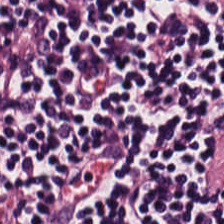H&E-stained tissue section. The tissue class is lymphocytes.
